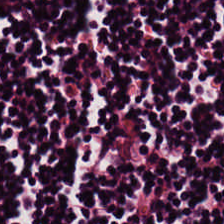Hematoxylin and eosin. Predominantly lymphoid infiltrate.
